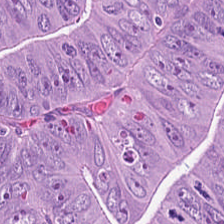H&E — colorectal adenocarcinoma.
